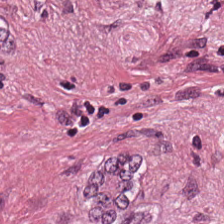H&E stain — Predominantly tumor stroma.
